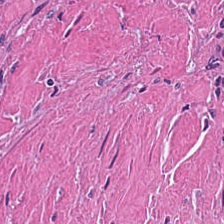H&E-stained tissue section — Showing debris.
